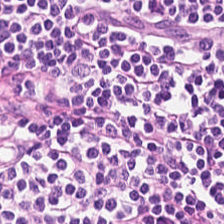Hematoxylin and eosin. 224×224 px tile. WSI patch. {"tissue_type": "lymphocytes"}
